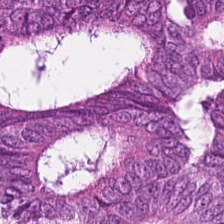Stain: hematoxylin and eosin.
Classification: colorectal adenocarcinoma epithelium.
